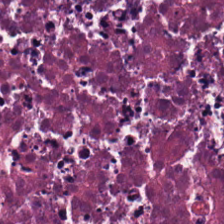0.5 µm/px. FFPE. H&E stain.
Tissue type: debris.
